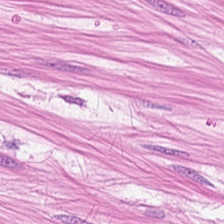0.5 µm per pixel · hematoxylin-and-eosin stained section — Classification: smooth muscle.
